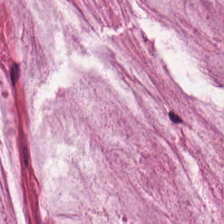H&E — extracellular mucin.
